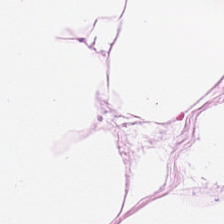Hematoxylin and eosin — The classification is adipocytes.
